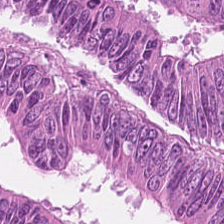Stain: H&E-stained tissue section.
Predominant tissue: colorectal adenocarcinoma.
